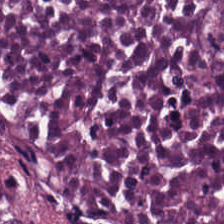The predominant tissue is necrotic debris.
